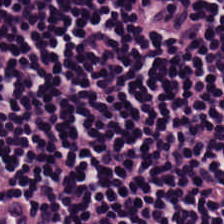Impression — lymphocyte aggregate.
